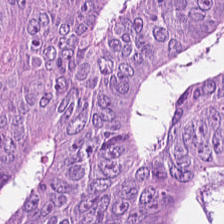Formalin-fixed paraffin-embedded section; H&E stain; 224×224 px patch.
Showing colorectal adenocarcinoma epithelium.
